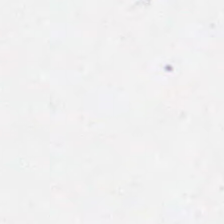Empty field — background.
